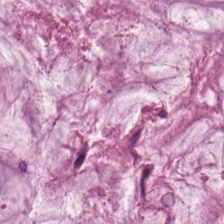H&E-stained tissue section. Q: What is shown in this field?
A: This is mucin.
